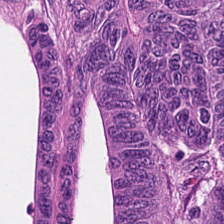Impression — tumor epithelium.
